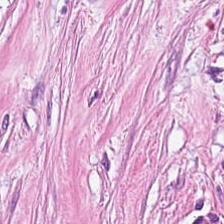The predominant tissue is desmoplastic stroma.
